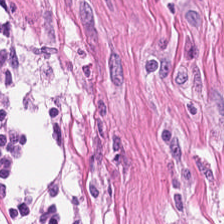0.5 µm/px. 224×224 pixel tile. H&E-stained tissue section.
Smooth-muscle tissue.
